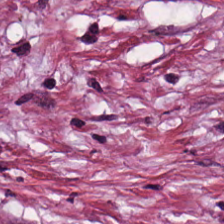H&E stain — Tissue type = cancer-associated stroma.
